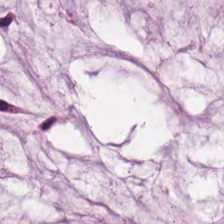Hematoxylin-and-eosin stained section. 20× equivalent magnification — Predominantly mucin.
